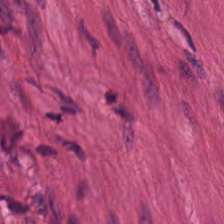Hematoxylin and eosin; WSI patch. Tissue: smooth-muscle tissue.
